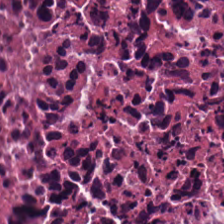Stain: H&E.
Preparation: FFPE.
Tissue class: debris.
